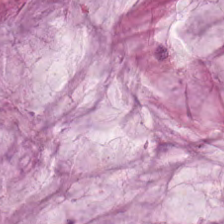Showing extracellular mucin.
